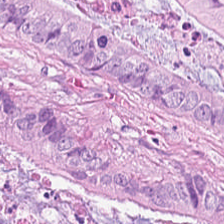Hematoxylin and eosin. Predominant tissue: colorectal adenocarcinoma.
